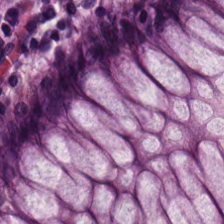Stain: H&E.
Predominant tissue: normal colonic mucosa.
